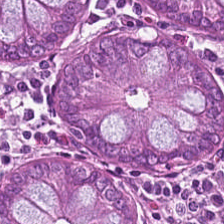H&E patch showing non-neoplastic colon mucosa.
